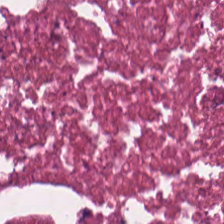Hematoxylin-and-eosin stained section.
Impression — cellular debris.
